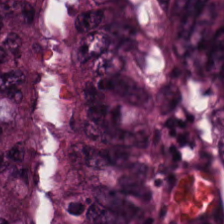Tissue type — colorectal adenocarcinoma.
